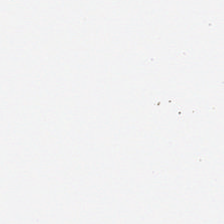Hematoxylin-and-eosin stained section — Q: What is shown here?
A: The field shows no tissue.
